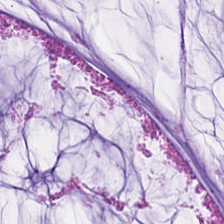224×224 pixel tile · hematoxylin and eosin. The tissue class is extracellular mucin.
